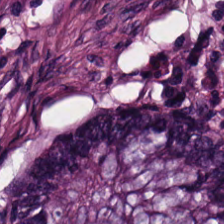224×224 px tile. H&E. Showing non-neoplastic colon mucosa.
